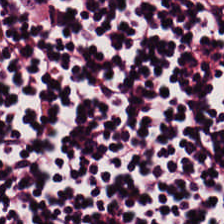Hematoxylin-and-eosin stained section. This patch shows lymphoid infiltrate.
